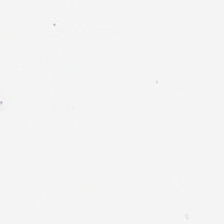H&E — Field content = background (no tissue).
